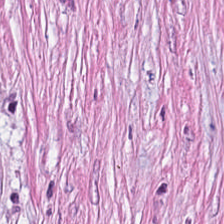H&E stain — Histology → cancer-associated stroma.
